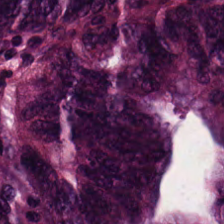Impression → colorectal adenocarcinoma.
